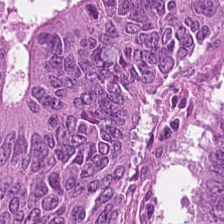224×224 pixel tile. Brightfield microscopy. H&E-stained tissue section. Showing tumor epithelium.
